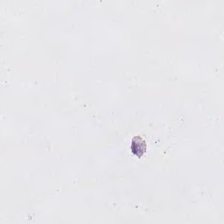Hematoxylin and eosin — Classification = no tissue.
